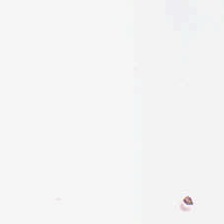Hematoxylin-and-eosin stained section — Histology — background (no tissue).
